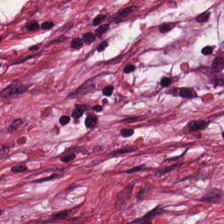Q: Identify the tissue.
A: Cancer-associated stroma.
